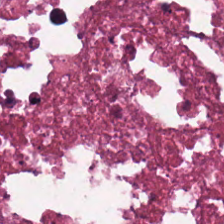H&E — necrotic debris.
